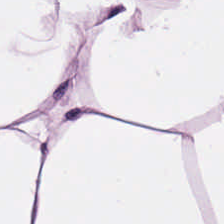Classification = adipocytes.
